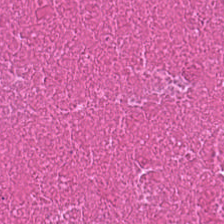Hematoxylin and eosin · 224×224 pixel tile · formalin-fixed paraffin-embedded section — Impression — debris.
